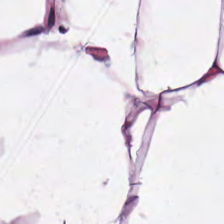Stain: H&E stain.
Predominant tissue: fat tissue.
